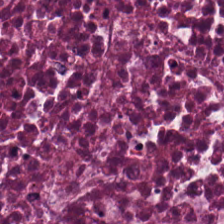Hematoxylin and eosin — Q: Classify this patch.
A: This is cellular debris.
